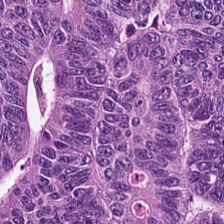Stain: H&E-stained tissue section.
Tissue: colorectal adenocarcinoma epithelium.
